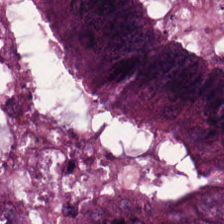H&E-stained tissue section. Q: What type of tissue is this?
A: This is colorectal adenocarcinoma epithelium.
